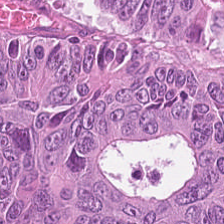224×224 px tile · H&E stain. The tissue here is adenocarcinoma.
